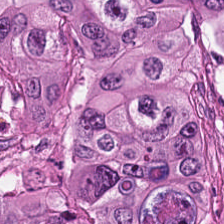0.5 microns per pixel. H&E-stained tissue section. 224×224 px patch — Classification: colorectal adenocarcinoma.
